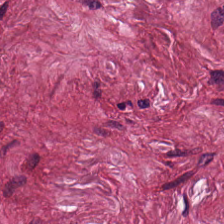Hematoxylin and eosin — Impression — tumor-associated stroma.
